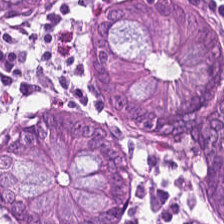The classification is non-neoplastic colon mucosa.
